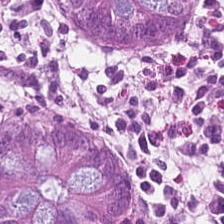Brightfield microscopy. Hematoxylin and eosin — Q: Identify the tissue.
A: The field shows normal colon mucosa.
